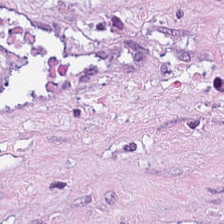224×224 px tile. H&E stain.
Q: What is shown in this field?
A: Tumor stroma.
